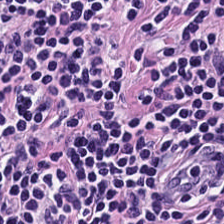WSI patch · H&E-stained tissue section · formalin-fixed paraffin-embedded section.
The tissue here is lymphoid infiltrate.
